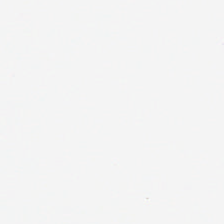Finding — no tissue.
